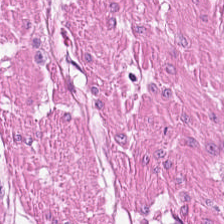H&E-stained tissue section · 20× equivalent magnification — Showing smooth-muscle tissue.
